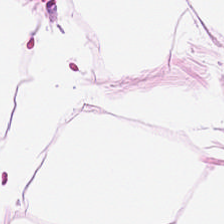Hematoxylin and eosin — Fat tissue.
